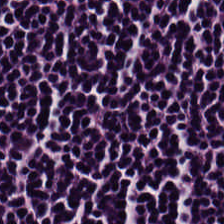Hematoxylin and eosin. Predominantly lymphocytes.
